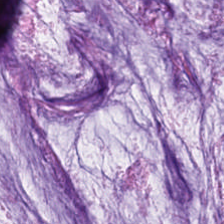Extracellular mucin.
